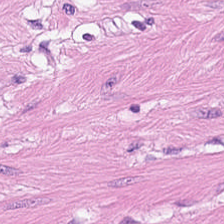Stain: hematoxylin and eosin.
Classification: smooth-muscle tissue.
